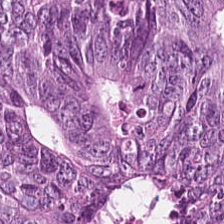Tissue — colorectal adenocarcinoma epithelium.
